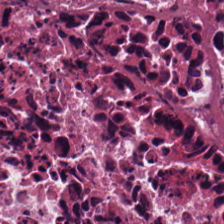Hematoxylin-and-eosin stained section. The predominant tissue is cellular debris.
